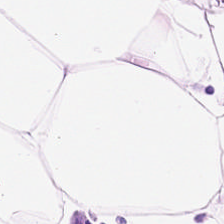Q: What tissue is shown?
A: It is adipose tissue.
